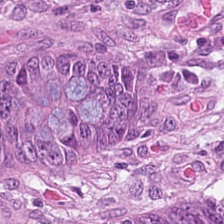Whole-slide-image patch. H&E.
Tissue: adenocarcinoma.
